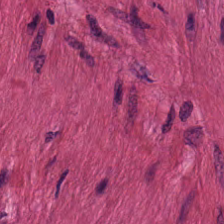H&E stain.
Q: What tissue type is shown here?
A: Muscularis.
